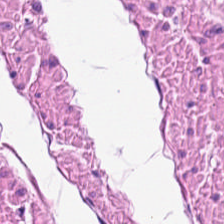Stain: hematoxylin and eosin.
Classification: smooth muscle.
